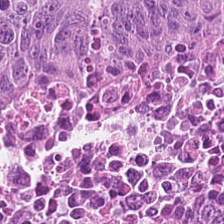Finding — tumor epithelium.
